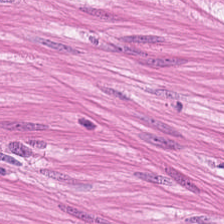Formalin-fixed paraffin-embedded section. H&E-stained tissue section. 0.5 µm per pixel.
This patch shows smooth-muscle tissue.
